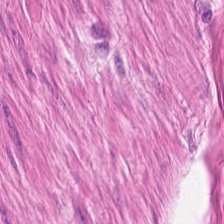H&E stain. Showing smooth muscle.
